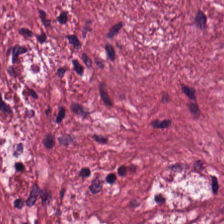Hematoxylin-and-eosin stained section.
Classification — tumor stroma.
